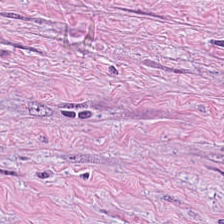Stain: H&E-stained tissue section.
Resolution: 0.5 µm per pixel.
Classification: tumor stroma.
